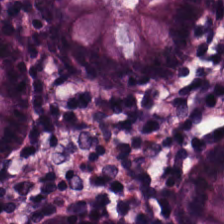H&E stain.
Showing normal colon mucosa.
